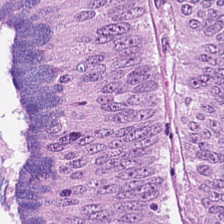H&E stain.
This field is colorectal adenocarcinoma.
